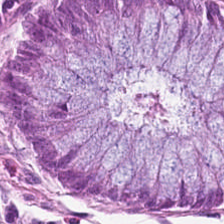0.5 µm/px. Hematoxylin-and-eosin stained section — Q: What is shown in this field?
A: The field shows benign colonic mucosa.
